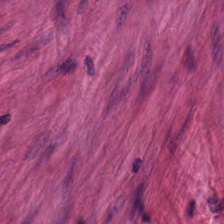Classification — smooth muscle.
